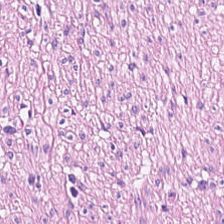Stain: H&E stain.
Tissue type: smooth-muscle tissue.
